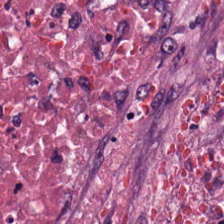H&E stain. The tissue here is cellular debris.
